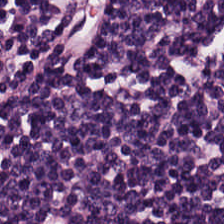H&E stain. Q: Identify the tissue.
A: Lymphocyte aggregate.
